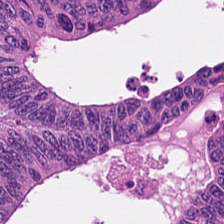Hematoxylin and eosin · 0.5 microns per pixel — Q: What tissue is shown?
A: The field shows colorectal adenocarcinoma epithelium.
